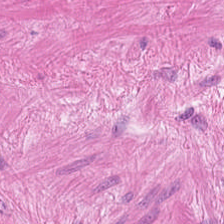Hematoxylin and eosin — {"tissue_type": "smooth muscle"}
